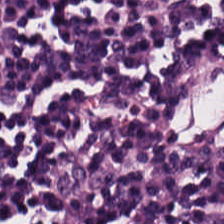0.5 µm per pixel. H&E-stained tissue section.
Q: What tissue is shown?
A: Lymphoid infiltrate.
